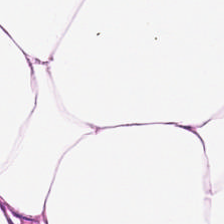Hematoxylin-and-eosin stained section — This field is adipocytes.
